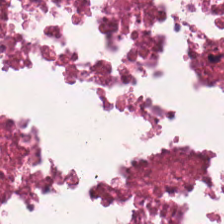H&E-stained tissue section.
This patch shows cellular debris.
